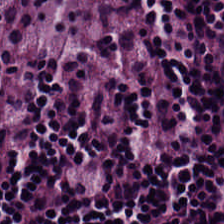Showing lymphocyte aggregate.
